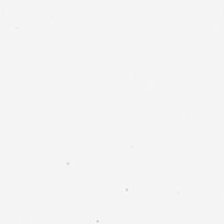This field is background (no tissue).
